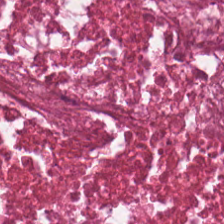Formalin-fixed paraffin-embedded section · H&E — The tissue here is cellular debris.
